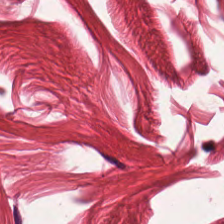Stain: H&E.
Resolution: 0.5 microns per pixel.
Tissue: smooth muscle.
